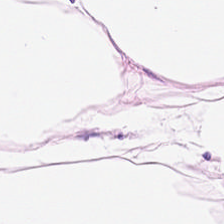Q: What tissue is shown?
A: It is adipocytes.
